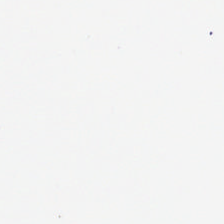Brightfield microscopy · H&E-stained tissue section · 0.5 microns per pixel — Classification = background.
